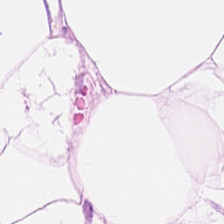Tissue — adipocytes.
